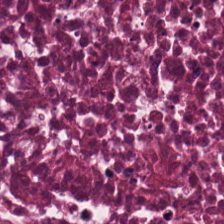H&E-stained tissue section.
Cellular debris.
